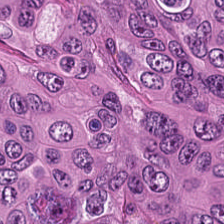Stain: H&E-stained tissue section.
Tissue: colorectal adenocarcinoma.
